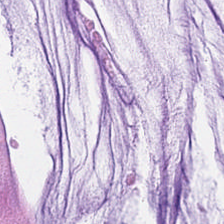Stain: hematoxylin-and-eosin stained section.
Tile size: 224×224 px patch.
Tissue class: mucus.
